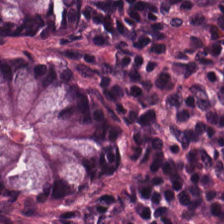WSI patch. H&E-stained tissue section. FFPE — Tissue class = normal colon mucosa.
